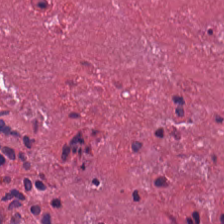224×224 pixel tile. H&E. Tissue type — cellular debris.
